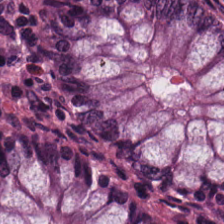Stain: hematoxylin and eosin.
Tissue: normal colon mucosa.
